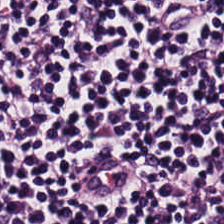H&E stain.
This patch shows lymphocyte aggregate.
